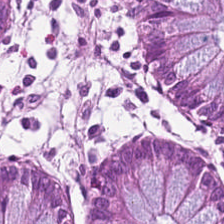Normal colonic mucosa.
